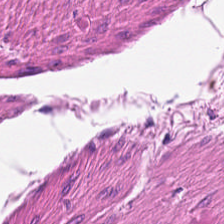Hematoxylin-and-eosin stained section — This field is smooth-muscle tissue.
